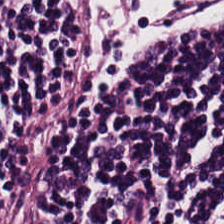224×224 px tile. H&E-stained tissue section.
The predominant tissue is lymphoid infiltrate.
